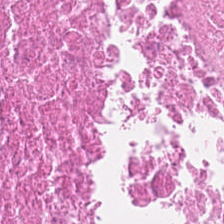Stain: hematoxylin-and-eosin stained section.
Predominant tissue: cellular debris.
